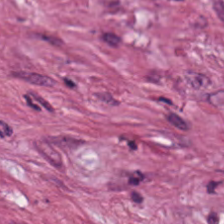H&E-stained tissue section. Finding — desmoplastic stroma.
